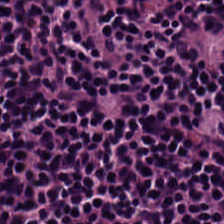Predominantly lymphoid infiltrate.
